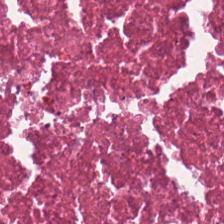Debris.
